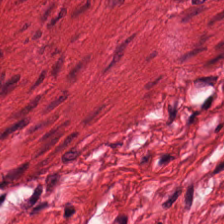{"tissue_type": "muscularis"}
